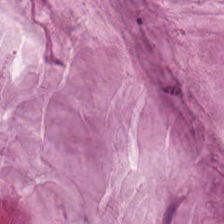This field is extracellular mucin.
